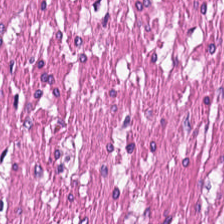Stain: H&E.
Classification: muscularis.
